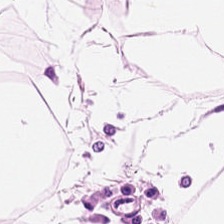Hematoxylin-and-eosin stained section — Classification = adipose tissue.
